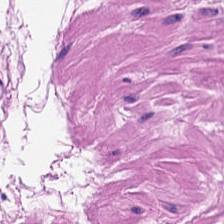Hematoxylin-and-eosin stained section. 0.5 µm per pixel. Tissue = smooth-muscle tissue.
